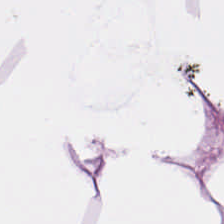Stain: H&E.
Tissue class: adipose.
